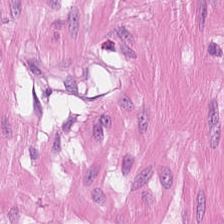20× equivalent magnification. 224×224 px patch. H&E.
Q: Identify the tissue.
A: It is smooth-muscle tissue.
